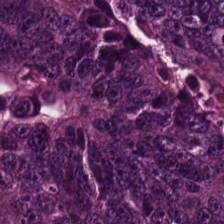Hematoxylin-and-eosin stained section — Q: What tissue is shown?
A: Malignant epithelium.
